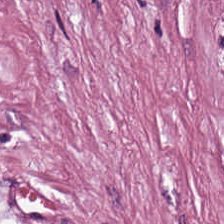H&E-stained tissue section · 20× equivalent magnification.
Predominantly desmoplastic stroma.
